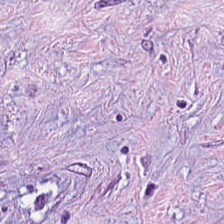Hematoxylin and eosin.
Predominant tissue — desmoplastic stroma.
